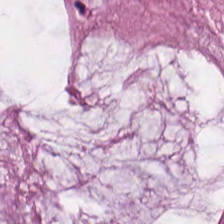Stain: H&E stain.
Classification: mucus.
